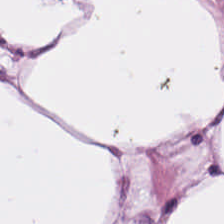Hematoxylin-and-eosin stained section.
Predominantly adipose tissue.
